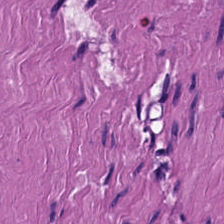Stain: H&E-stained tissue section.
Tissue type: smooth muscle.
